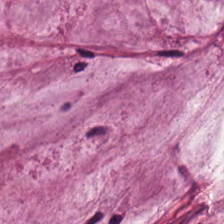H&E · WSI patch — {"tissue_type": "mucin"}
